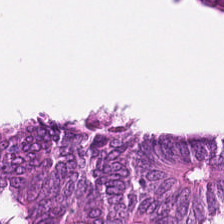0.5 µm/px. Hematoxylin-and-eosin stained section. FFPE tissue section.
Showing adenocarcinoma.
